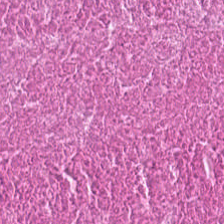This patch shows cellular debris.
